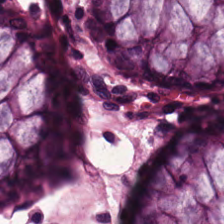H&E patch showing normal colon mucosa.
